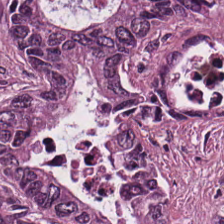H&E.
The classification is colorectal adenocarcinoma epithelium.
